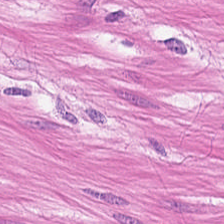FFPE tissue section; 20× equivalent magnification; hematoxylin-and-eosin stained section — Predominantly muscularis.
